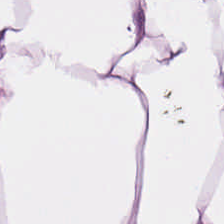Hematoxylin-and-eosin stained section.
Classification — adipose.
